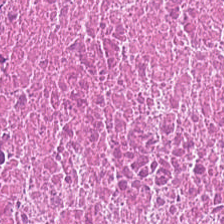H&E-stained tissue section.
Q: What tissue is shown?
A: This is debris.
